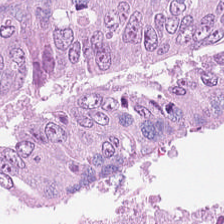H&E stain · FFPE tissue section. Showing colorectal adenocarcinoma.
